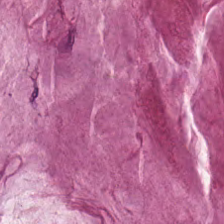H&E stain. This field is extracellular mucin.
